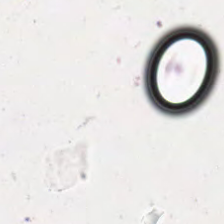Background — no tissue in this field.
